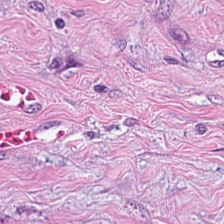Whole-slide-image patch. H&E. Tissue — tumor-associated stroma.
